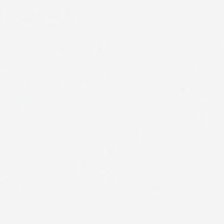Hematoxylin-and-eosin stained section. Brightfield microscopy — No tissue present; background only.
